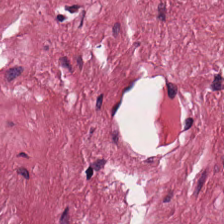Hematoxylin-and-eosin stained section.
Showing desmoplastic stroma.
